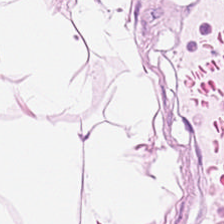Hematoxylin-and-eosin stained section. Tissue type: adipose tissue.
